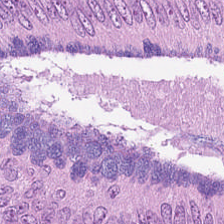Hematoxylin-and-eosin stained section. 0.5 µm per pixel. 224×224 px patch.
Tissue class — malignant epithelium.
